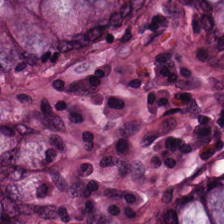Hematoxylin and eosin. The predominant tissue is normal colon mucosa.
